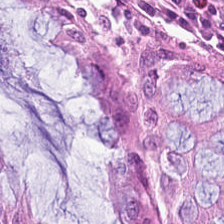Hematoxylin and eosin. This patch shows normal colon mucosa.
